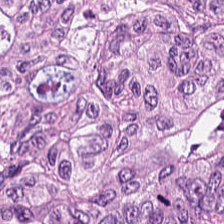H&E-stained tissue section showing malignant epithelium.
